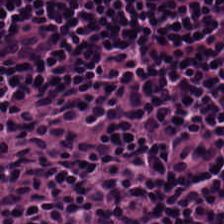H&E stain · 224×224 px patch. Q: What is the predominant tissue type?
A: This is lymphocyte aggregate.
